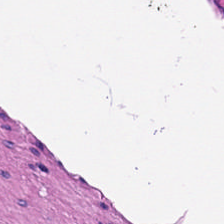Hematoxylin and eosin — Finding — smooth muscle.
